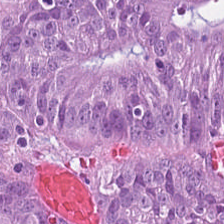H&E-stained tissue section.
The predominant tissue is colorectal adenocarcinoma epithelium.
